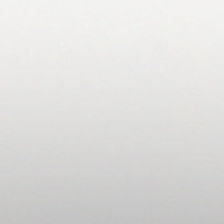Hematoxylin and eosin. Impression → background.
